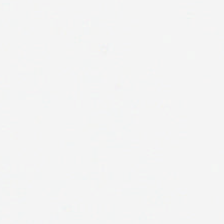H&E-stained tissue section. Field content — background.
